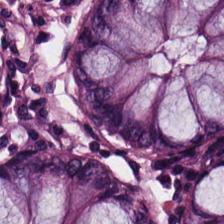Hematoxylin-and-eosin section: normal colon mucosa.
